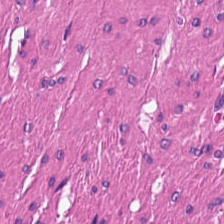Stain: H&E-stained tissue section.
Predominant tissue: muscularis.
